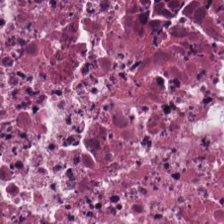Stain: H&E stain.
Tissue type: cellular debris.
